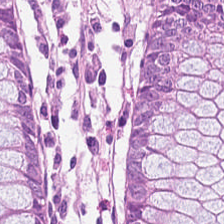FFPE tissue section; H&E stain.
The tissue here is non-neoplastic colon mucosa.
